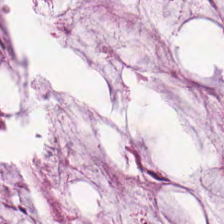H&E stain; FFPE.
The tissue type is mucin.
